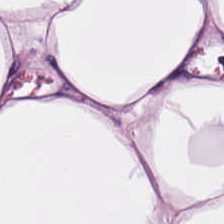H&E-stained tissue section; FFPE tissue section.
The tissue here is adipocytes.
